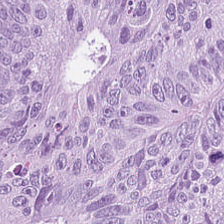Tissue type: malignant epithelium.
